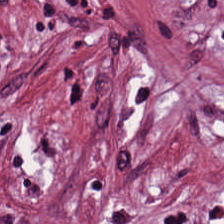Q: What does this patch show?
A: Tumor-associated stroma.
